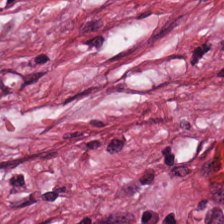FFPE tissue section · hematoxylin and eosin. {"tissue_type": "cancer-associated stroma"}
